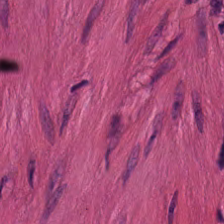Smooth muscle.
